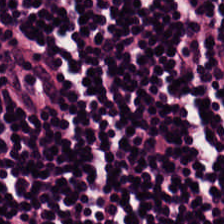Classification: lymphocytic infiltrate.
